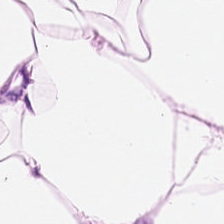Stain: H&E-stained tissue section.
Tissue class: adipose.
